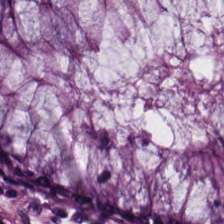Showing normal colonic mucosa.
